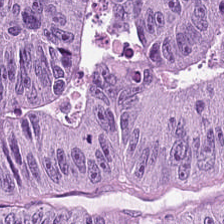Hematoxylin-and-eosin stained section — Predominant tissue = malignant epithelium.
